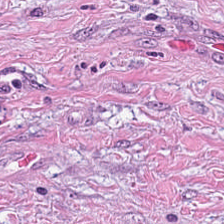H&E stain. This field is cancer-associated stroma.
